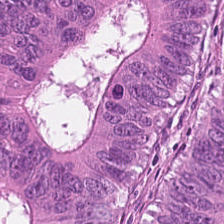H&E — Histology → colorectal adenocarcinoma.
